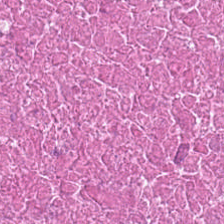H&E stain — The predominant tissue is debris.
